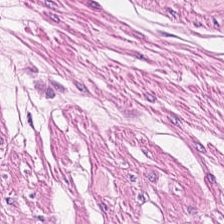Hematoxylin and eosin · 224×224 px patch · whole-slide-image patch. Finding → smooth-muscle tissue.
